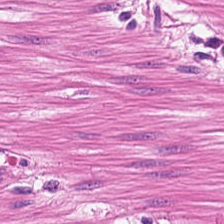H&E stain. Q: What tissue is shown?
A: It is muscularis.
